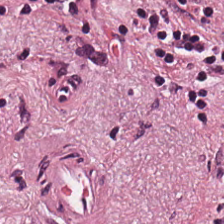H&E stain — Showing desmoplastic stroma.
